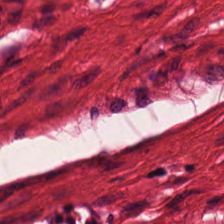Finding → smooth-muscle tissue.
